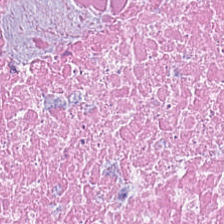0.5 microns per pixel · brightfield · H&E. Predominantly cellular debris.
